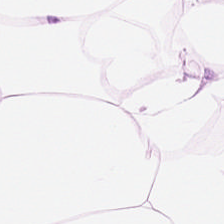Stain: H&E stain.
Tissue type: adipose tissue.
